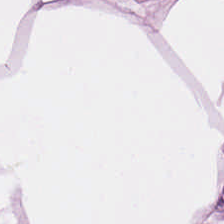Hematoxylin-and-eosin stained section. Tissue type — adipose tissue.
